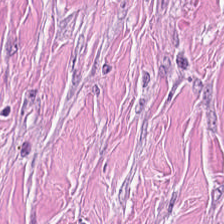FFPE tissue section. Hematoxylin-and-eosin stained section. 224×224 pixel tile. This field is cancer-associated stroma.
